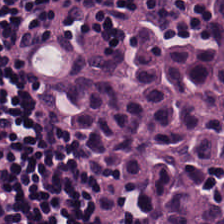Showing lymphocytic infiltrate.
